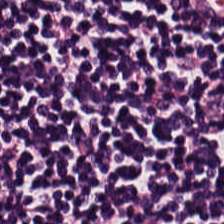224×224 pixel tile. FFPE tissue section. H&E stain — Histology → lymphocytic infiltrate.
